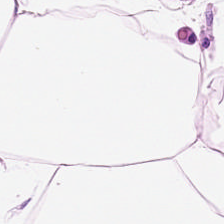H&E stain — Showing adipose tissue.
